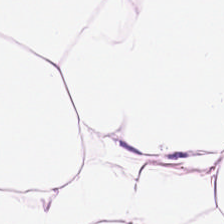Hematoxylin and eosin · 224×224 px patch. Q: What is shown in this field?
A: This is fat tissue.
